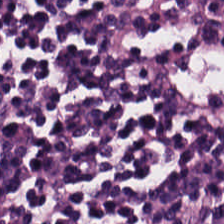Formalin-fixed paraffin-embedded section. H&E-stained tissue section. 224×224 px patch. {"tissue_type": "lymphocytic infiltrate"}
